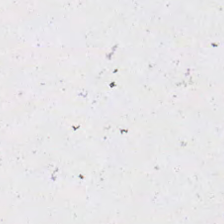Background — no tissue in this field.
